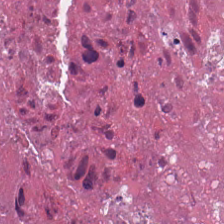H&E-stained tissue section.
Q: What type of tissue is this?
A: It is necrotic debris.
